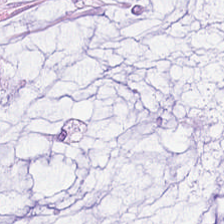H&E stain. Q: What is shown here?
A: This is mucin.
